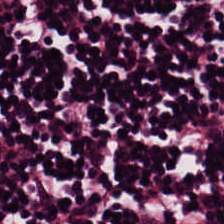Tissue — lymphoid infiltrate.
